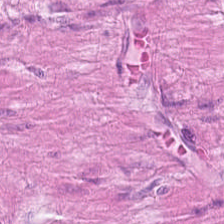Hematoxylin and eosin. Smooth muscle.
